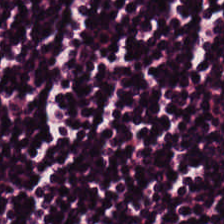Stain: H&E-stained tissue section.
Resolution: 0.5 microns per pixel.
Classification: lymphocytes.
